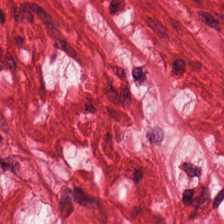H&E stain — This patch shows smooth muscle.
